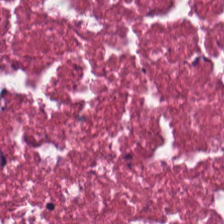Histology → necrotic debris.
